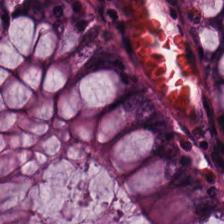H&E. {"tissue_type": "normal colon mucosa"}
